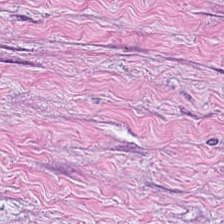H&E-stained tissue section showing cancer-associated stroma.
